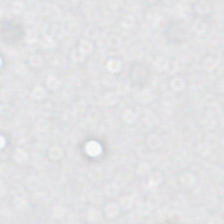Brightfield. H&E — Empty background.
